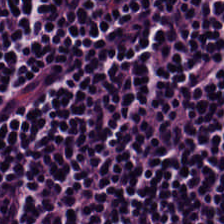H&E-stained tissue section.
Tissue class: lymphocytes.
